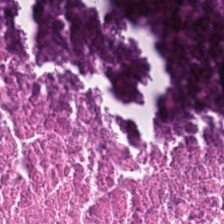H&E stain.
The predominant tissue is cellular debris.
